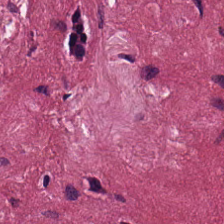Hematoxylin and eosin. This field is tumor stroma.
